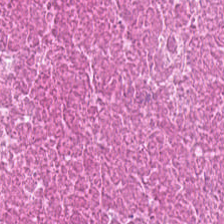Stain: H&E.
Predominant tissue: debris.
